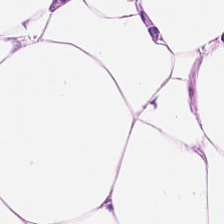Tissue type — adipocytes.
